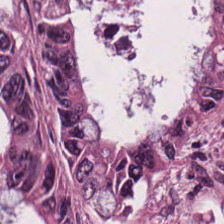Histology → adenocarcinoma.
